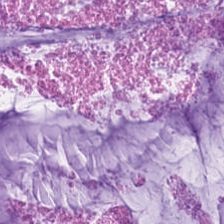224×224 px tile; H&E-stained tissue section; formalin-fixed paraffin-embedded section.
The tissue here is mucus.
